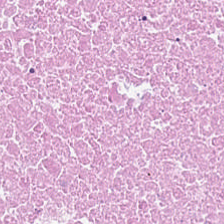H&E-stained tissue section.
Impression → cellular debris.
